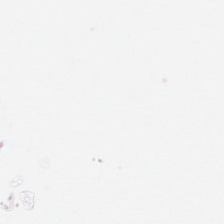Hematoxylin-and-eosin stained section. Formalin-fixed paraffin-embedded section. Brightfield microscopy. This patch shows background (no tissue).
